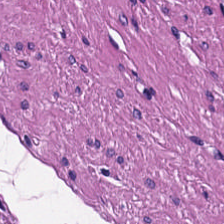Hematoxylin and eosin. This patch shows muscularis.
